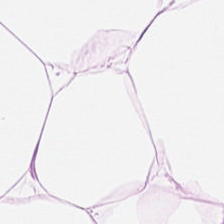H&E-stained tissue section — Tissue: fat tissue.
